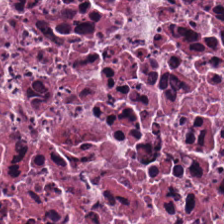Q: What is shown here?
A: Cellular debris.
